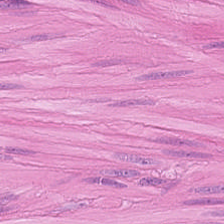Stain: H&E stain.
Tile size: 224×224 pixel tile.
Tissue class: smooth-muscle tissue.
